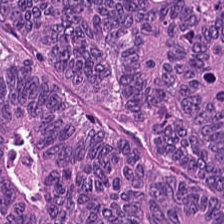Tissue: adenocarcinoma.
